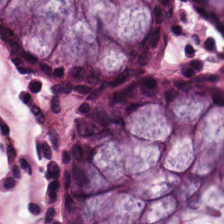Hematoxylin-and-eosin stained section. This field is non-neoplastic colon mucosa.
